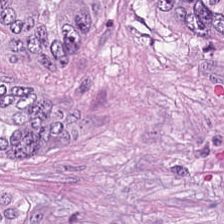224×224 pixel tile. H&E-stained tissue section.
Q: Identify the tissue.
A: It is adenocarcinoma.
